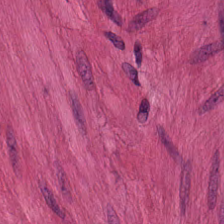Stain: H&E-stained tissue section.
Acquisition: brightfield.
Classification: smooth muscle.
